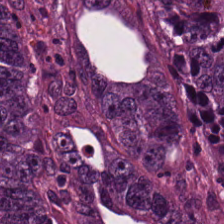WSI patch · hematoxylin and eosin. This patch shows tumor epithelium.
